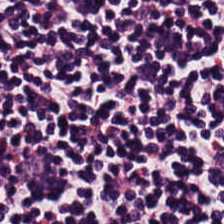Stain: H&E-stained tissue section.
Preparation: formalin-fixed paraffin-embedded section.
Tissue: lymphocytic infiltrate.
